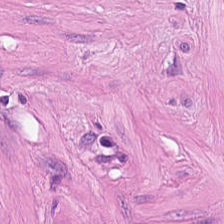Hematoxylin-and-eosin stained section.
The tissue is smooth-muscle tissue.
